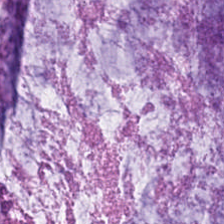H&E stain; formalin-fixed paraffin-embedded section — {"tissue_type": "extracellular mucin"}
